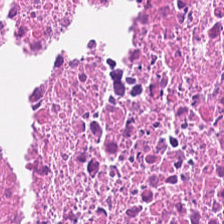H&E-stained tissue section. Predominant tissue: necrotic debris.
